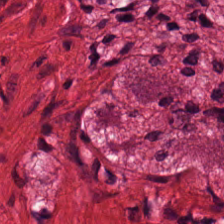H&E stain. Brightfield microscopy — Impression → smooth-muscle tissue.
